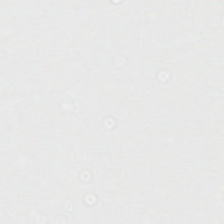H&E-stained tissue section.
Empty field — empty background.
